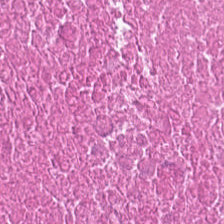FFPE tissue section · 0.5 µm per pixel · H&E.
Classification = debris.
